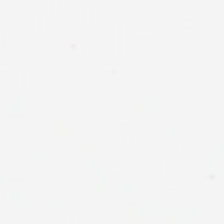H&E-stained tissue section — Q: What is shown here?
A: It is empty background.
